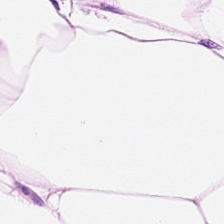H&E stain. {"tissue_type": "adipose tissue"}
